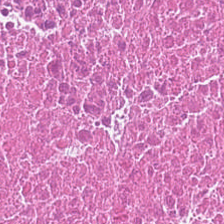224×224 px patch. Hematoxylin and eosin. 0.5 µm/px. Showing necrotic debris.
